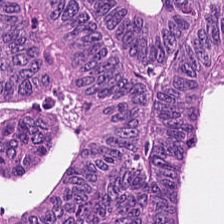224×224 pixel tile · H&E stain.
The tissue here is tumor epithelium.
